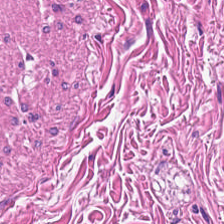Hematoxylin-and-eosin stained section. This field is smooth muscle.
